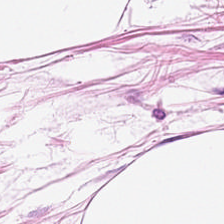H&E stain. {"tissue_type": "adipose tissue"}
